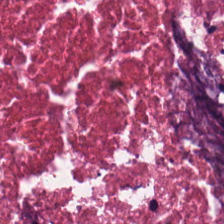Hematoxylin-and-eosin stained section — Predominantly necrotic debris.
